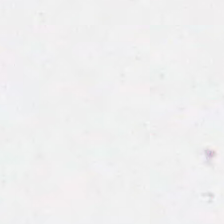Hematoxylin-and-eosin stained section.
Finding → background (no tissue).
